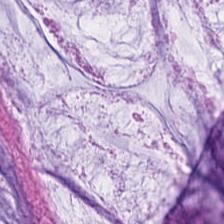Hematoxylin-and-eosin stained section. Predominant tissue — mucus.
